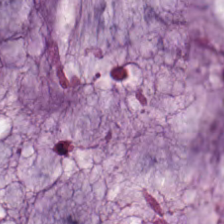0.5 microns per pixel · H&E — Finding → mucus.
